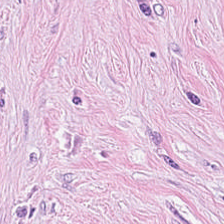H&E-stained tissue section. 0.5 µm per pixel. WSI patch.
This patch shows tumor-associated stroma.
